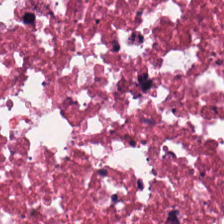Hematoxylin-and-eosin section: cellular debris.
